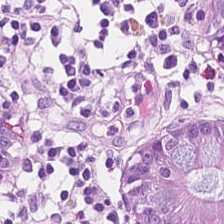Formalin-fixed paraffin-embedded section · H&E-stained tissue section — The tissue class is benign colonic mucosa.
